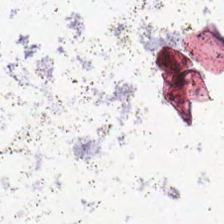H&E stain.
Impression → background.
